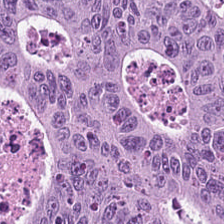This field is colorectal adenocarcinoma.
